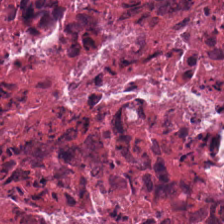Hematoxylin and eosin. FFPE tissue section. Predominantly cellular debris.
